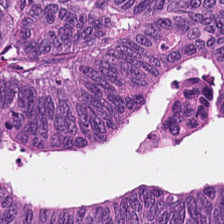Stain: H&E stain.
Tissue: malignant epithelium.
